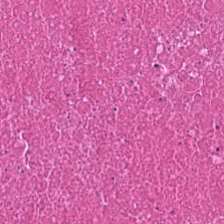Stain: H&E stain.
Classification: cellular debris.
